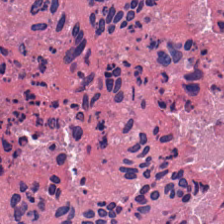224×224 pixel tile · H&E stain — The tissue is necrotic debris.
